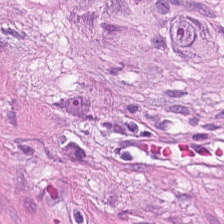Hematoxylin and eosin.
The tissue here is smooth muscle.
